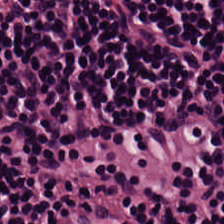Whole-slide-image patch. Hematoxylin-and-eosin stained section. Formalin-fixed paraffin-embedded section. {"tissue_type": "lymphocytic infiltrate"}
